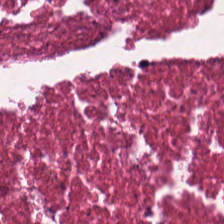Stain: H&E.
Preparation: FFPE tissue section.
Predominant tissue: necrotic debris.
